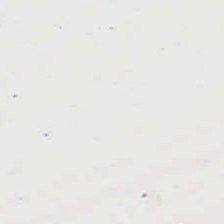Whole-slide-image patch · 224×224 px patch · hematoxylin-and-eosin stained section.
This field is background (no tissue).
